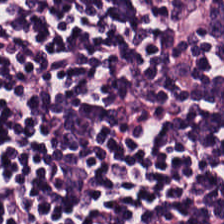Impression → lymphoid infiltrate.
